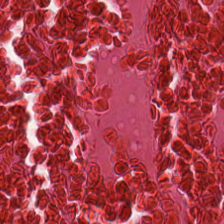Hematoxylin and eosin.
This field is debris.
